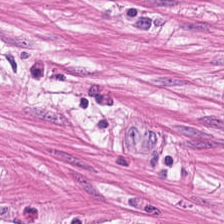Formalin-fixed paraffin-embedded section; H&E stain; 20× equivalent magnification — The tissue here is muscularis.
